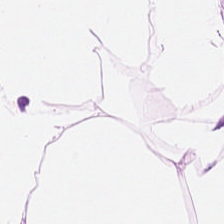Hematoxylin and eosin. Adipose.
